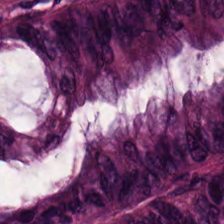Hematoxylin and eosin. Classification = colorectal adenocarcinoma epithelium.
